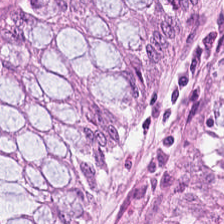Predominant tissue — normal colon mucosa.
